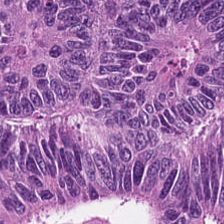Tissue: tumor epithelium.
